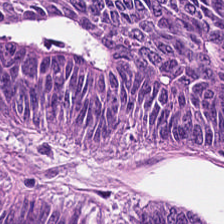Hematoxylin-and-eosin stained section — Q: What is shown in this field?
A: It is malignant epithelium.
